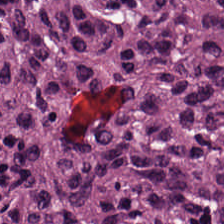H&E.
Predominantly tumor epithelium.
